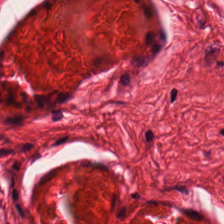H&E.
Impression → smooth muscle.
